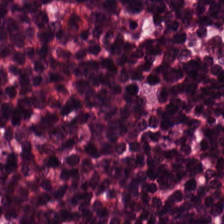H&E. Tissue type: lymphocytes.
